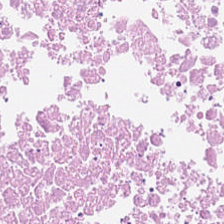FFPE tissue section; hematoxylin and eosin. Classification — necrotic debris.
